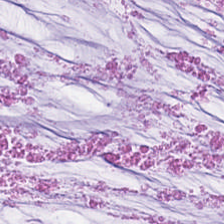H&E. This field is mucus.
